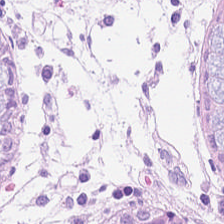FFPE tissue section · 0.5 µm/px · H&E. Q: What type of tissue is this?
A: This is normal colonic mucosa.
